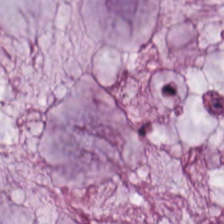Hematoxylin-and-eosin stained section · 0.5 microns per pixel.
Tissue class: extracellular mucin.
